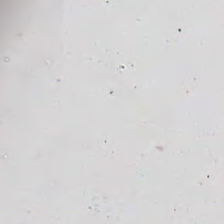Hematoxylin and eosin. 224×224 px tile — Q: Classify this patch.
A: This is background.
